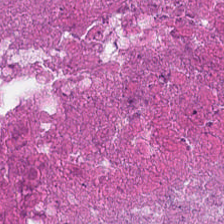H&E; formalin-fixed paraffin-embedded section. The tissue class is debris.
